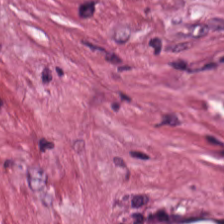Tissue type = tumor stroma.
